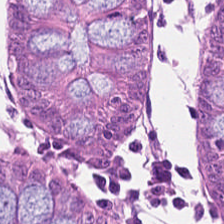H&E.
The predominant tissue is normal colon mucosa.
